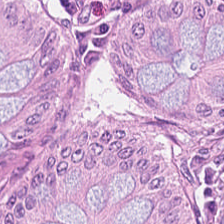0.5 µm/px · formalin-fixed paraffin-embedded section · hematoxylin and eosin.
Tissue type = normal colonic mucosa.
